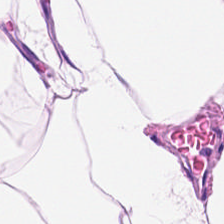Q: What does this patch show?
A: It is fat tissue.
